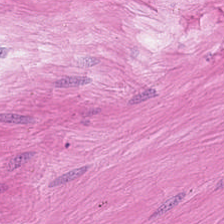{"tissue_type": "muscularis"}
